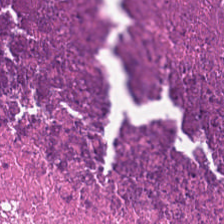224×224 pixel tile. H&E-stained tissue section. This patch shows debris.
